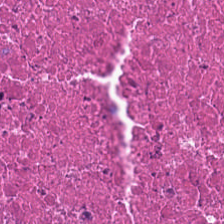H&E-stained tissue section. Predominantly debris.
